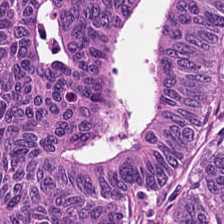H&E stain. The predominant tissue is colorectal adenocarcinoma epithelium.
